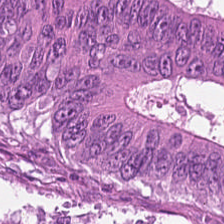H&E. Finding — colorectal adenocarcinoma.
